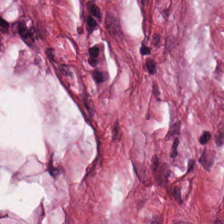Tissue: tumor-associated stroma.
